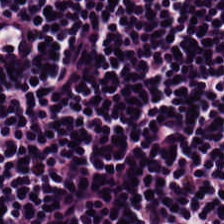H&E; 0.5 µm per pixel; FFPE.
This patch shows lymphocytes.
